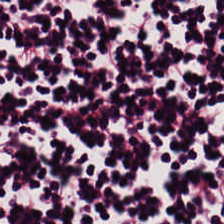H&E · brightfield · FFPE tissue section — Predominant tissue: lymphocyte aggregate.
